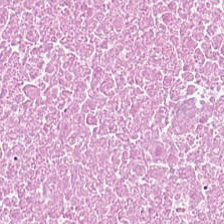H&E stain.
Tissue type = debris.
